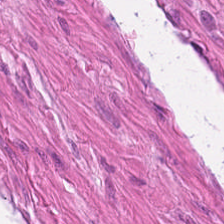Brightfield · H&E-stained tissue section · FFPE.
The classification is smooth-muscle tissue.
